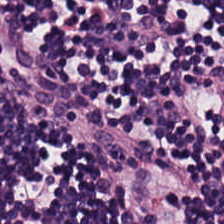The tissue here is lymphoid infiltrate.
